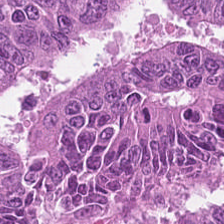Q: What tissue type is shown here?
A: The field shows adenocarcinoma.
